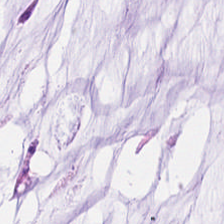Showing extracellular mucin.
